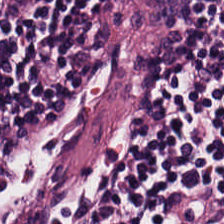Hematoxylin-and-eosin stained section; 0.5 µm per pixel. Lymphocyte aggregate.
